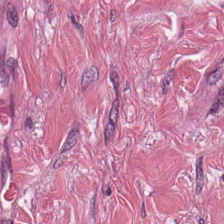H&E-stained tissue section. The tissue here is tumor-associated stroma.
